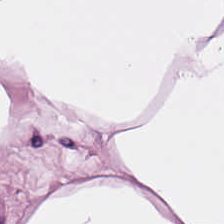{"tissue_type": "adipocytes"}
